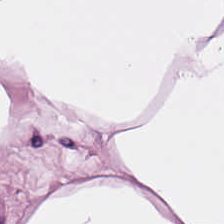{"tissue_type": "adipocytes"}
